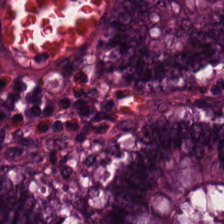Tissue class — normal colonic mucosa.
